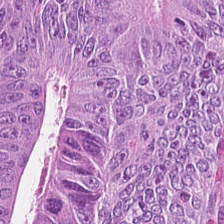H&E.
Colorectal adenocarcinoma epithelium.
